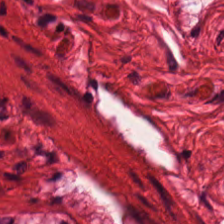224×224 pixel tile; H&E; FFPE. Classification — muscularis.
